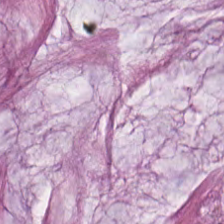Brightfield microscopy · H&E-stained tissue section — Q: Identify the tissue.
A: The field shows mucin.
